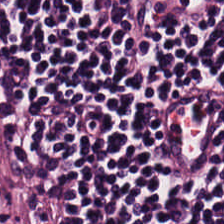Impression — lymphocytic infiltrate.
